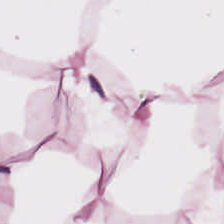Hematoxylin and eosin.
Finding → fat tissue.
